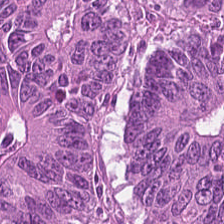Hematoxylin-and-eosin stained section. 0.5 microns per pixel. 224×224 px tile. Predominantly adenocarcinoma.
